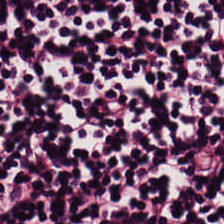Hematoxylin and eosin. This field is lymphocytic infiltrate.
